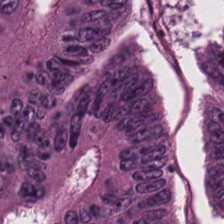Tissue type = colorectal adenocarcinoma.
